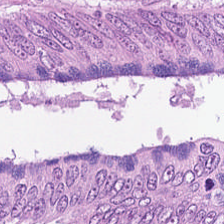H&E-stained tissue section · WSI patch. Q: Identify the tissue.
A: The field shows colorectal adenocarcinoma.
